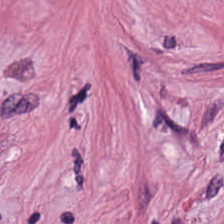Formalin-fixed paraffin-embedded section · 224×224 pixel tile · hematoxylin and eosin — Q: What tissue type is shown here?
A: This is tumor stroma.
